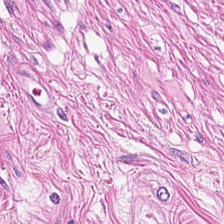Hematoxylin-and-eosin stained section. Histology — smooth muscle.
